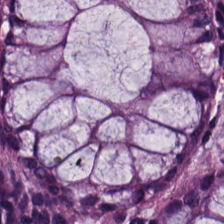FFPE · hematoxylin-and-eosin stained section. Tissue class: benign colonic mucosa.
